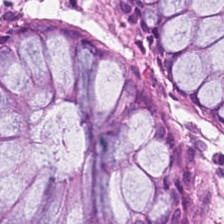224×224 px patch; H&E stain; FFPE.
Impression — normal colonic mucosa.
